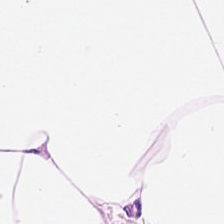224×224 px patch. H&E. Predominantly adipose tissue.
